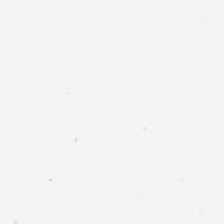Brightfield microscopy. H&E stain. Formalin-fixed paraffin-embedded section — Impression — background (no tissue).
